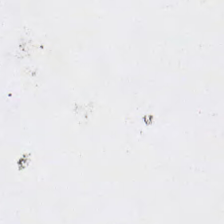FFPE · hematoxylin and eosin · 0.5 µm per pixel — Classification = background.
